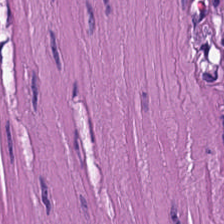The predominant tissue is muscularis.
